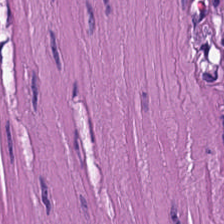The predominant tissue is muscularis.
